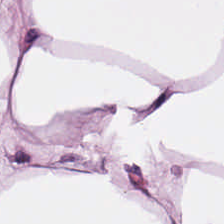Hematoxylin and eosin. This field is adipocytes.
